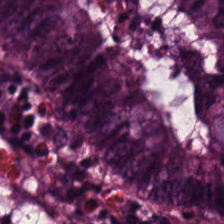Hematoxylin and eosin · brightfield microscopy · formalin-fixed paraffin-embedded section.
The tissue here is normal colon mucosa.
